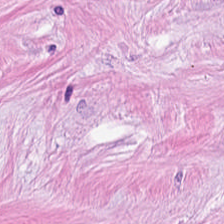H&E. Predominantly tumor stroma.
